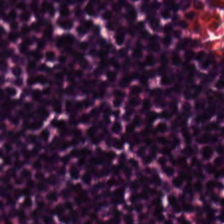Hematoxylin-and-eosin stained section. Predominantly lymphocytic infiltrate.
